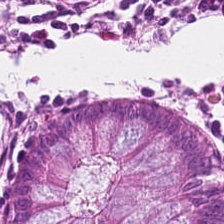224×224 pixel tile · 0.5 microns per pixel · H&E — Classification = normal colon mucosa.
